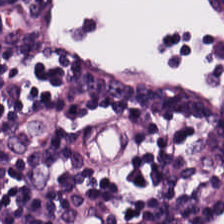Stain: H&E-stained tissue section.
Preparation: FFPE.
Acquisition: whole-slide-image patch.
Classification: lymphoid infiltrate.
